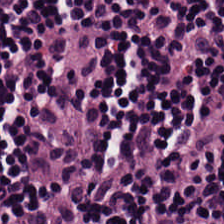224×224 px tile. Hematoxylin and eosin. 0.5 microns per pixel. Classification = lymphoid infiltrate.
